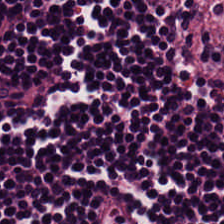H&E stain — Predominantly lymphocyte aggregate.
